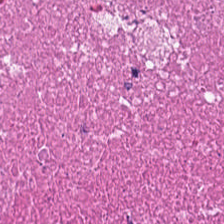Q: Classify this patch.
A: It is cellular debris.
